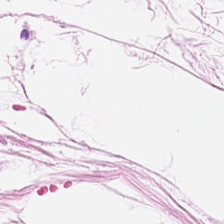Classification: adipose.
